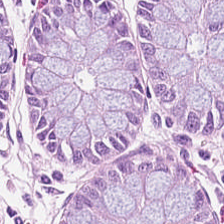Hematoxylin-and-eosin stained section. Formalin-fixed paraffin-embedded section.
Tissue class = normal colon mucosa.
